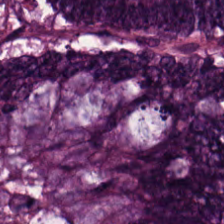Hematoxylin-and-eosin stained section. Showing colorectal adenocarcinoma epithelium.
